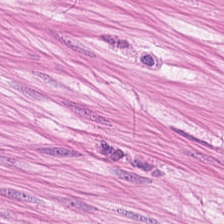224×224 pixel tile · H&E · 0.5 µm per pixel. {"tissue_type": "smooth-muscle tissue"}
